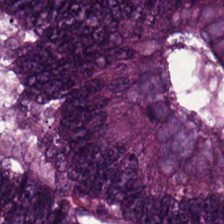Stain: H&E.
Classification: colorectal adenocarcinoma.
